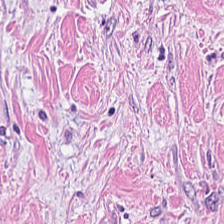Predominant tissue: tumor-associated stroma.
